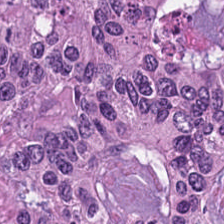Hematoxylin-and-eosin section: malignant epithelium.
